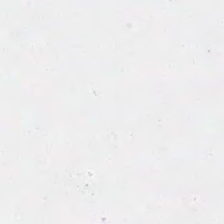Hematoxylin and eosin. The content is background (no tissue).
